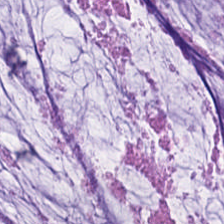H&E-stained tissue section. The predominant tissue is extracellular mucin.
